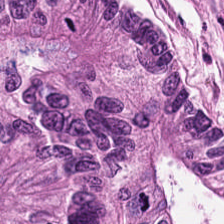Predominantly malignant epithelium.
